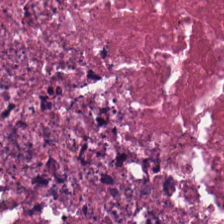Classification — necrotic debris.
